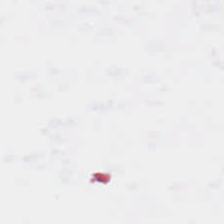FFPE; hematoxylin and eosin. The field content is no tissue.
